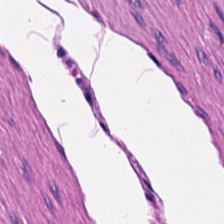Hematoxylin and eosin.
Predominantly muscularis.
